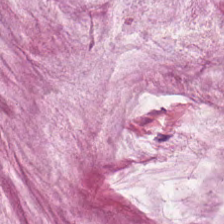Hematoxylin-and-eosin stained section · 20× equivalent magnification · 224×224 px tile. Tissue class: extracellular mucin.
